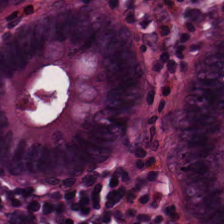Hematoxylin-and-eosin stained section.
This field is normal colonic mucosa.
